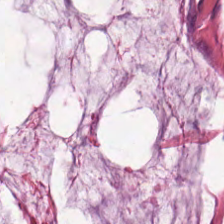H&E. Histology → mucus.
